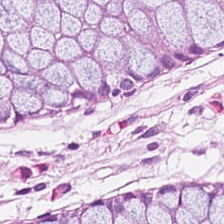H&E-stained tissue section.
{"tissue_type": "benign colonic mucosa"}
